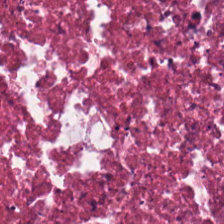Brightfield microscopy; hematoxylin and eosin; 20× equivalent magnification — Predominantly cellular debris.
